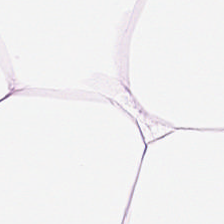Q: Classify this patch.
A: Adipose.
